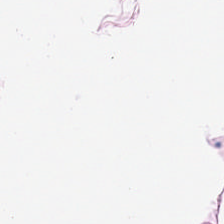224×224 px patch; hematoxylin and eosin. This field is adipocytes.
